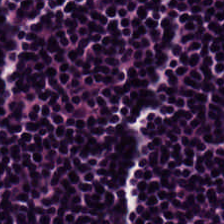Hematoxylin-and-eosin stained section; formalin-fixed paraffin-embedded section. Q: What is shown in this field?
A: Lymphoid infiltrate.
